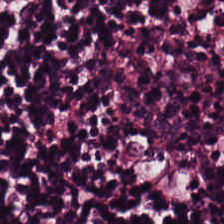The tissue is lymphocyte aggregate.
